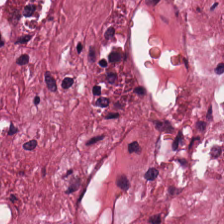H&E; brightfield — Q: What tissue type is shown here?
A: This is desmoplastic stroma.
